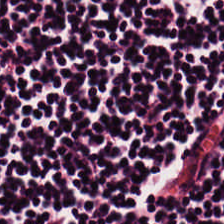FFPE · H&E stain · 20× equivalent magnification.
Predominant tissue — lymphocytic infiltrate.
